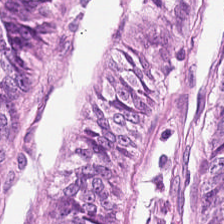Hematoxylin and eosin · 0.5 microns per pixel. This field is normal colonic mucosa.
